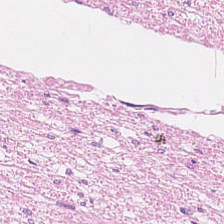Hematoxylin-and-eosin stained section — This patch shows muscularis.
